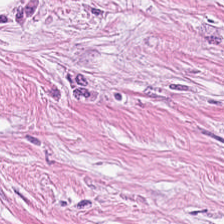H&E-stained tissue section — The predominant tissue is desmoplastic stroma.
